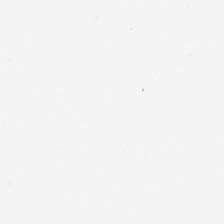H&E-stained tissue section. Content: background (no tissue).
